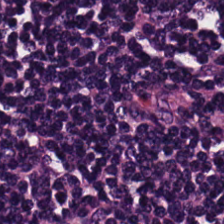0.5 µm per pixel. Hematoxylin-and-eosin stained section.
Predominant tissue: lymphocyte aggregate.
